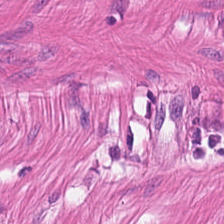Q: What tissue is shown?
A: The field shows smooth-muscle tissue.
